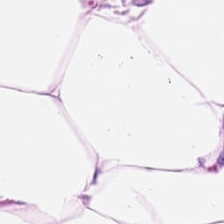H&E. Brightfield microscopy. Predominantly adipose tissue.
